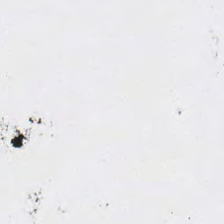Background — no tissue in this field.
